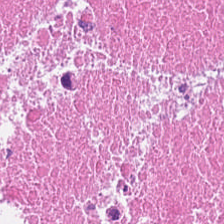FFPE tissue section; hematoxylin-and-eosin stained section — Tissue class = debris.
